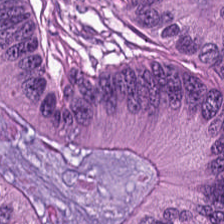Brightfield microscopy · hematoxylin and eosin · 0.5 microns per pixel. Q: What is shown here?
A: Adenocarcinoma.
